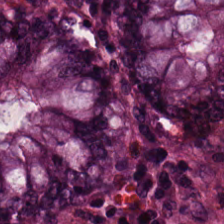H&E — {"tissue_type": "non-neoplastic colon mucosa"}
